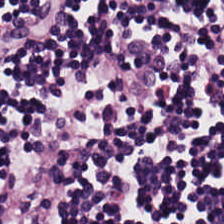WSI patch; H&E stain — The tissue is lymphocytes.
